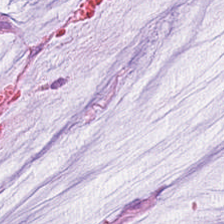H&E — Q: What is shown here?
A: The field shows mucin.
